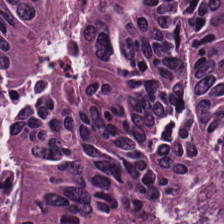0.5 µm/px · H&E-stained tissue section · 224×224 pixel tile. Colorectal adenocarcinoma.
